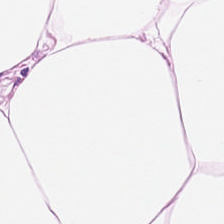0.5 µm/px. H&E.
Adipose.
